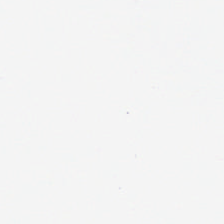H&E stain. Empty field — empty background.
